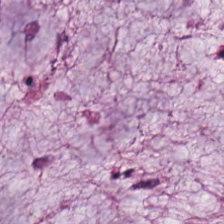Hematoxylin-and-eosin stained section. Formalin-fixed paraffin-embedded section.
Tissue type: mucus.
